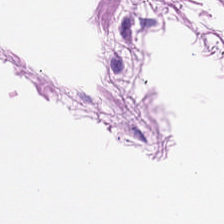Hematoxylin-and-eosin stained section; FFPE. Q: Identify the tissue.
A: Smooth muscle.
